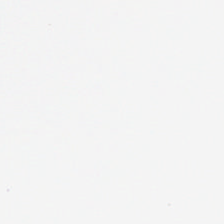H&E. Q: What is shown in this field?
A: Empty background.
